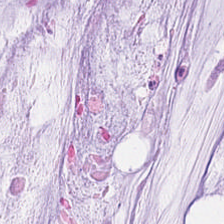H&E-stained tissue section. 20× equivalent magnification. WSI patch — Finding → mucus.
